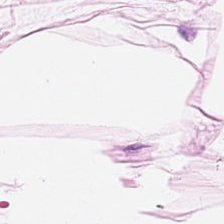Brightfield microscopy; hematoxylin-and-eosin stained section. Q: Classify this patch.
A: It is adipocytes.
